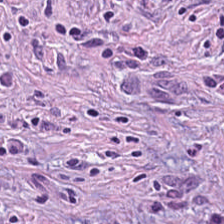Whole-slide-image patch. 224×224 pixel tile. H&E-stained tissue section — Impression — tumor stroma.
